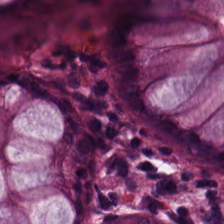FFPE tissue section; hematoxylin-and-eosin stained section. Tissue class: benign colonic mucosa.
